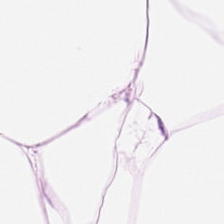Hematoxylin and eosin — Showing adipose tissue.
